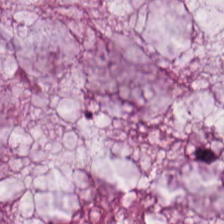Stain: H&E-stained tissue section.
Tissue type: mucin.
